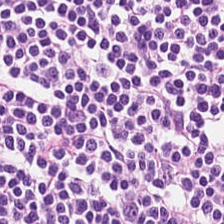H&E-stained section; the field shows lymphoid infiltrate.
